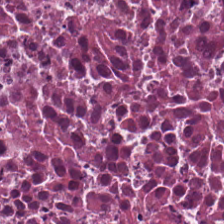H&E — Tissue — necrotic debris.
